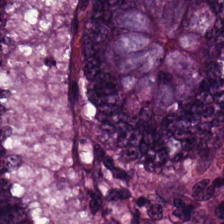H&E-stained tissue section; brightfield microscopy. Q: What is the predominant tissue type?
A: It is tumor epithelium.
